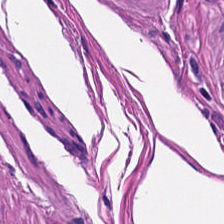H&E-stained section; the field shows smooth muscle.
